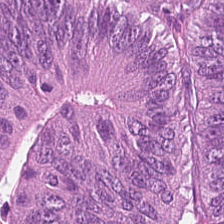Stain: H&E-stained tissue section.
Resolution: 0.5 µm/px.
Predominant tissue: colorectal adenocarcinoma.
